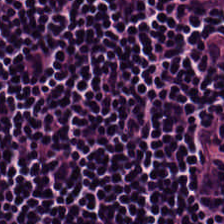Tissue type: lymphocyte aggregate.
